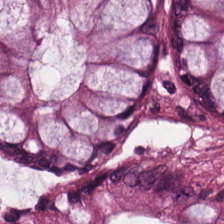H&E; 0.5 µm per pixel; formalin-fixed paraffin-embedded section.
This field is non-neoplastic colon mucosa.
